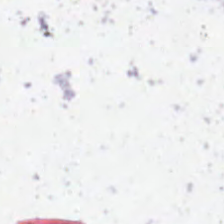H&E — Q: What is shown in this field?
A: This is no tissue.
